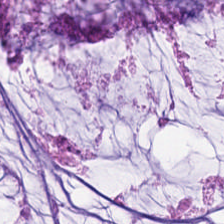Showing mucus.
